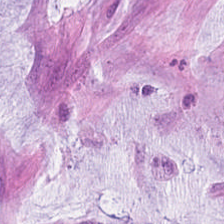Hematoxylin and eosin. The tissue is mucin.
